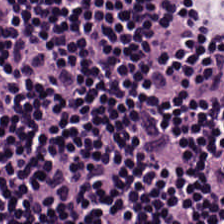224×224 px patch · brightfield · H&E-stained tissue section. The predominant tissue is lymphocyte aggregate.
